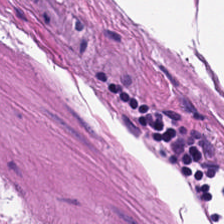WSI patch. Hematoxylin-and-eosin stained section. Smooth-muscle tissue.
